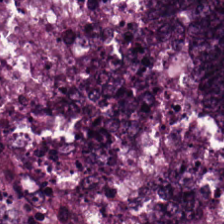H&E stain. Tissue: colorectal adenocarcinoma epithelium.
